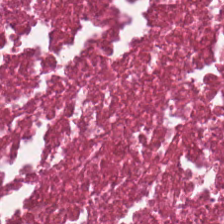H&E.
Predominant tissue = debris.
